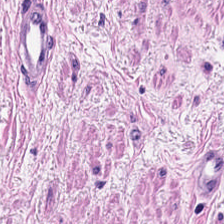Hematoxylin-and-eosin stained section; whole-slide-image patch — Finding — muscularis.
